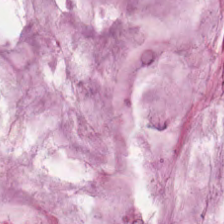Hematoxylin and eosin — The classification is mucus.
